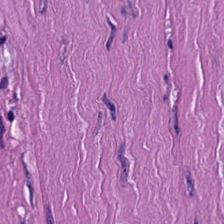Hematoxylin-and-eosin stained section. 224×224 px patch. 0.5 microns per pixel.
Smooth muscle.
